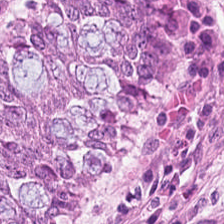H&E — This field is normal colonic mucosa.
